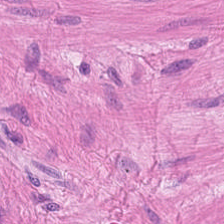Hematoxylin and eosin. The tissue is smooth-muscle tissue.
